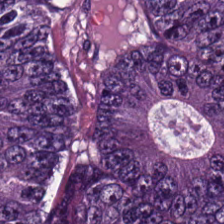20× equivalent magnification. Hematoxylin and eosin — Predominantly colorectal adenocarcinoma epithelium.
